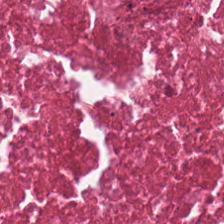Stain: H&E-stained tissue section.
Tissue class: necrotic debris.
